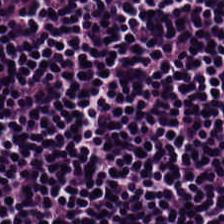Hematoxylin and eosin.
The predominant tissue is lymphocyte aggregate.
